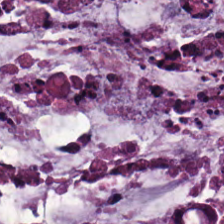FFPE · 0.5 µm per pixel · H&E stain — Q: What is the predominant tissue type?
A: The field shows mucin.
